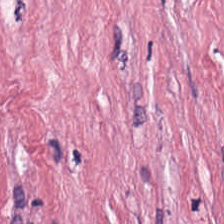H&E stain.
{"tissue_type": "tumor stroma"}
